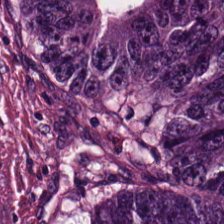Hematoxylin and eosin. 224×224 pixel tile. Whole-slide-image patch — Impression — adenocarcinoma.
